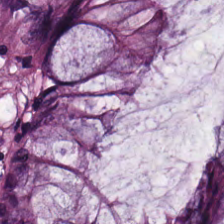Hematoxylin and eosin. Showing normal colonic mucosa.
